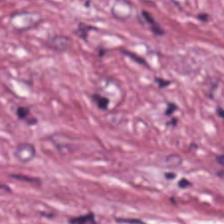Q: What tissue type is shown here?
A: Cancer-associated stroma.
